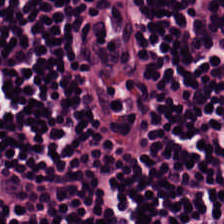H&E stain.
This field is lymphocytic infiltrate.
